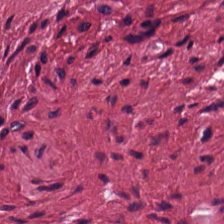H&E. This patch shows tumor stroma.
